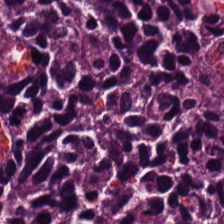H&E-stained tissue section.
Predominantly lymphocytic infiltrate.
